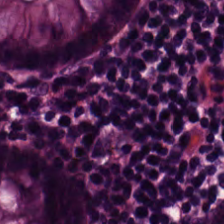H&E-stained tissue section. 224×224 px tile. Brightfield — Predominantly normal colon mucosa.
